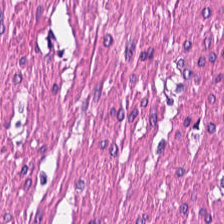Whole-slide-image patch; H&E-stained tissue section; 224×224 px tile. Histology → smooth muscle.
